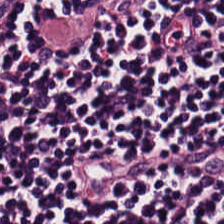Brightfield · H&E. Q: What does this patch show?
A: Lymphocytes.
